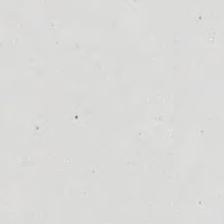H&E stain. Histology — no tissue.
